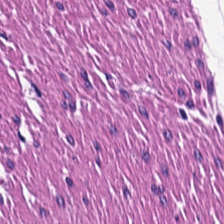H&E-stained tissue section. Muscularis.
